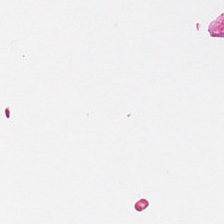Content — empty background.
